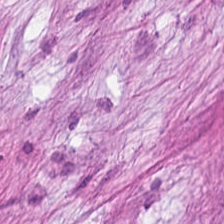Stain: hematoxylin-and-eosin stained section.
Predominant tissue: tumor stroma.
